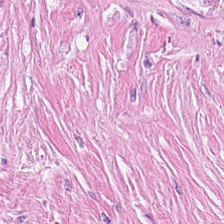Tissue type: desmoplastic stroma.
